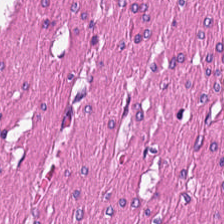The predominant tissue is smooth muscle.
